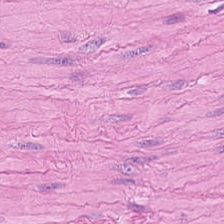H&E-stained tissue section. Formalin-fixed paraffin-embedded section — Predominantly smooth-muscle tissue.
